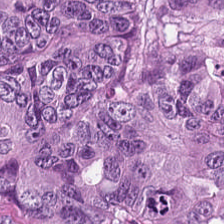Hematoxylin and eosin; brightfield microscopy.
Tissue = colorectal adenocarcinoma.
